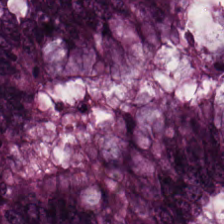Hematoxylin-and-eosin stained section. Normal colonic mucosa.
